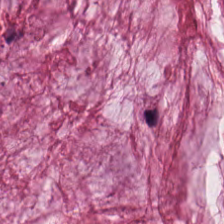Brightfield microscopy. FFPE. Hematoxylin and eosin. Q: What is the predominant tissue type?
A: Mucus.
